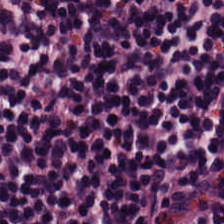Stain: H&E stain.
Acquisition: whole-slide-image patch.
Tissue type: lymphoid infiltrate.
